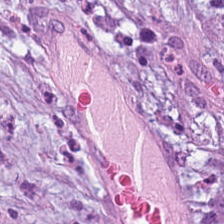Hematoxylin-and-eosin stained section · 224×224 px tile · 0.5 µm per pixel.
Finding → cancer-associated stroma.
